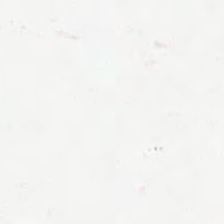Q: What does this patch show?
A: The field shows background (no tissue).
